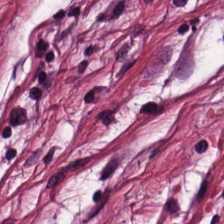0.5 microns per pixel; H&E.
Q: What does this patch show?
A: The field shows cancer-associated stroma.
